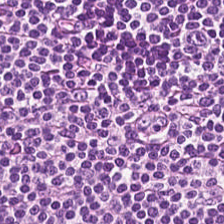Formalin-fixed paraffin-embedded section. Hematoxylin-and-eosin stained section. 0.5 microns per pixel. Finding — lymphocyte aggregate.
